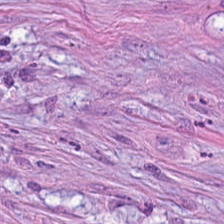H&E. Tissue: tumor stroma.
